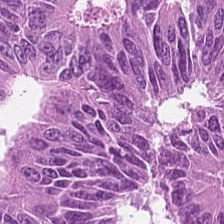20× equivalent magnification. H&E stain. Histology — tumor epithelium.
